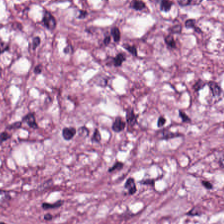H&E-stained tissue section. Brightfield microscopy. 0.5 µm per pixel.
The predominant tissue is cancer-associated stroma.
